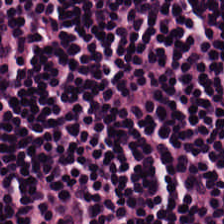H&E. Tissue = lymphocytic infiltrate.
